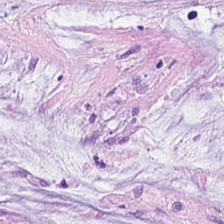Hematoxylin-and-eosin stained section.
Predominantly mucin.
